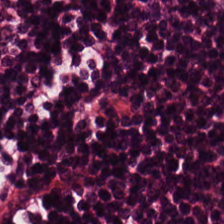0.5 µm/px · H&E stain — {"tissue_type": "lymphoid infiltrate"}
